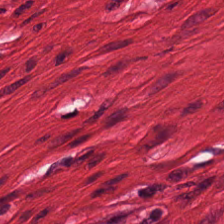H&E-stained tissue section.
Showing smooth muscle.
